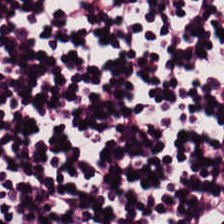H&E patch showing lymphocytic infiltrate.
